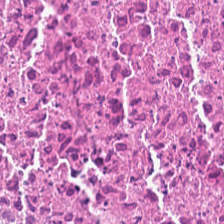H&E — debris.
